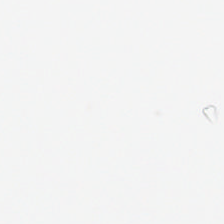H&E-stained tissue section · FFPE. Content = empty background.
